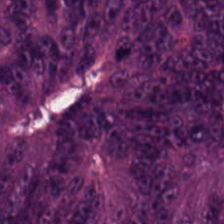Stain: H&E.
Preparation: FFPE.
Tile size: 224×224 px patch.
Tissue class: malignant epithelium.
